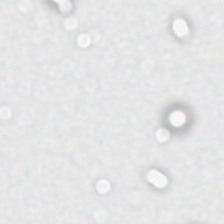Field content — background.
